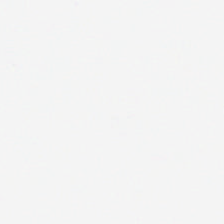The classification is background.
